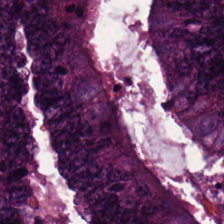Stain: hematoxylin-and-eosin stained section.
Classification: adenocarcinoma.
